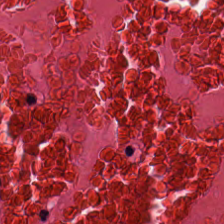224×224 px patch · hematoxylin and eosin.
Histology — debris.
